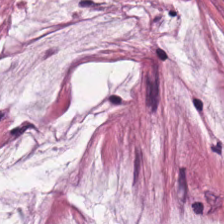H&E stain; 0.5 µm per pixel; 224×224 px tile.
Predominantly mucus.
